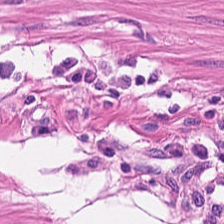Stain: H&E-stained tissue section.
Classification: smooth muscle.
